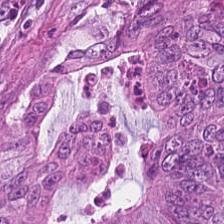H&E-stained tissue section — This field is malignant epithelium.
